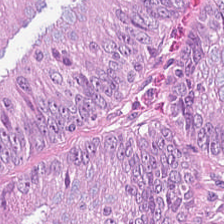Hematoxylin and eosin; 224×224 px patch. Classification: tumor epithelium.
